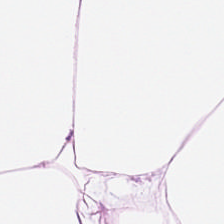H&E stain; 0.5 µm per pixel. Impression — fat tissue.
